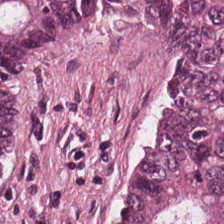H&E stain · brightfield microscopy.
Predominantly tumor epithelium.
